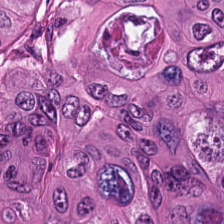0.5 µm/px. Hematoxylin and eosin. 224×224 pixel tile.
Finding → adenocarcinoma.
